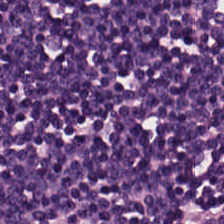0.5 µm per pixel · H&E stain.
The tissue here is lymphocytic infiltrate.
